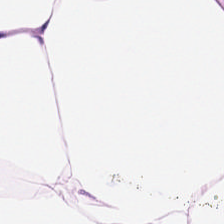H&E.
Histology — fat tissue.
